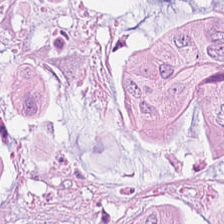H&E-stained tissue section — Showing malignant epithelium.
